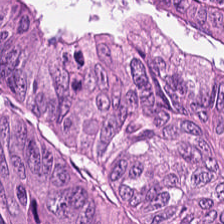Stain: hematoxylin and eosin.
Resolution: 0.5 µm per pixel.
Preparation: FFPE.
Tissue type: colorectal adenocarcinoma epithelium.
